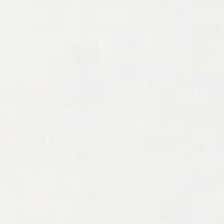This field is background (no tissue).
